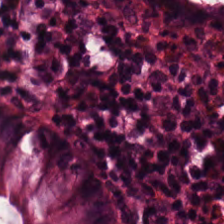Q: What does this patch show?
A: This is normal colonic mucosa.
